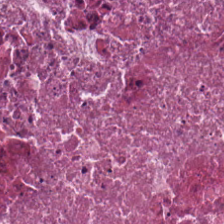FFPE · H&E stain. This patch shows necrotic debris.
